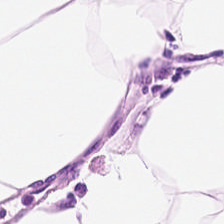Hematoxylin-and-eosin stained section. Finding → adipose tissue.
